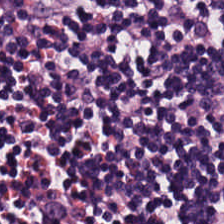Stain: hematoxylin-and-eosin stained section.
Classification: lymphocytes.
